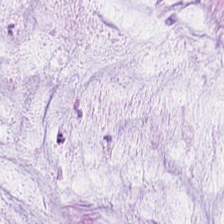H&E stain; whole-slide-image patch; FFPE — Q: What tissue is shown?
A: It is mucin.
